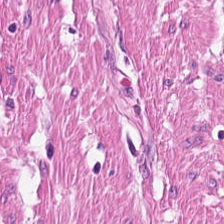Q: What type of tissue is this?
A: It is muscularis.
